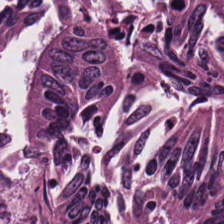H&E-stained section; the field shows colorectal adenocarcinoma.
